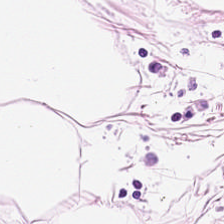Hematoxylin and eosin. FFPE tissue section. 0.5 µm/px — Predominantly fat tissue.
